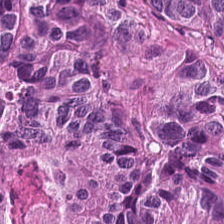Tissue type = adenocarcinoma.
